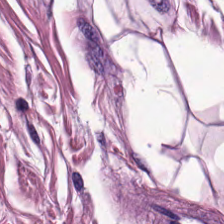This patch shows muscularis.
